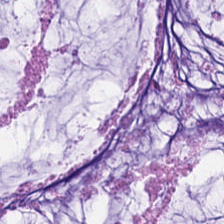Hematoxylin-and-eosin stained section.
{"tissue_type": "extracellular mucin"}
